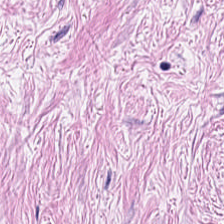20× equivalent magnification. Hematoxylin-and-eosin stained section. Predominantly tumor-associated stroma.
